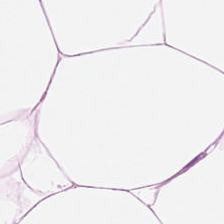Hematoxylin-and-eosin stained section — Predominantly fat tissue.
